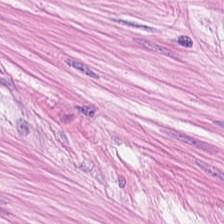H&E-stained tissue section. Classification — smooth muscle.
